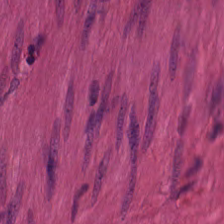0.5 microns per pixel · H&E stain.
The predominant tissue is muscularis.
